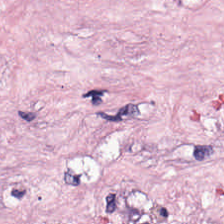H&E stain; WSI patch. {"tissue_type": "cancer-associated stroma"}
